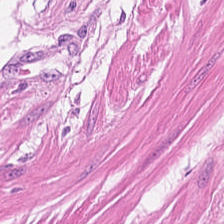Smooth-muscle tissue.
